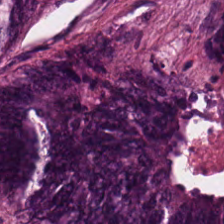Stain: hematoxylin and eosin.
Tissue: tumor epithelium.
